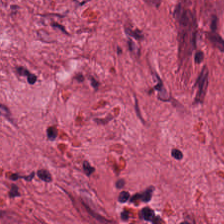H&E stain.
The tissue here is desmoplastic stroma.
